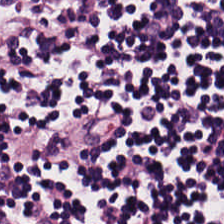Hematoxylin and eosin. The tissue type is lymphocyte aggregate.
